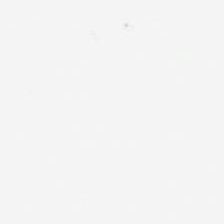0.5 microns per pixel · H&E · 224×224 px patch — Empty field — no tissue.
